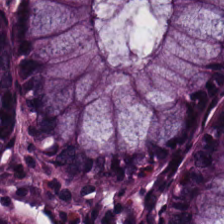H&E stain — Q: What tissue type is shown here?
A: It is normal colon mucosa.
